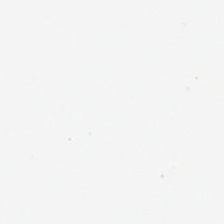Stain: hematoxylin-and-eosin stained section.
Field content: background.
